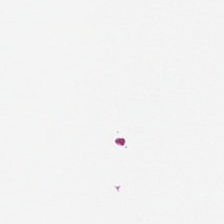H&E stain.
This patch shows no tissue.
